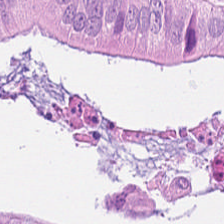H&E-stained tissue section.
Tissue: adenocarcinoma.
